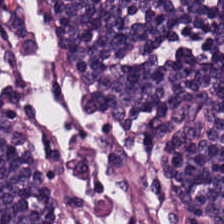H&E — Finding → lymphocyte aggregate.
